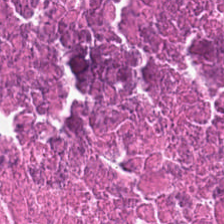Hematoxylin and eosin · 224×224 px tile. The predominant tissue is cellular debris.
